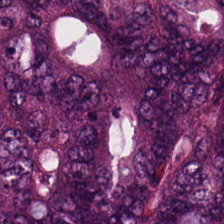H&E.
Q: What does this patch show?
A: The field shows colorectal adenocarcinoma epithelium.
